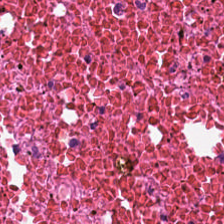H&E stain. Tissue — debris.
